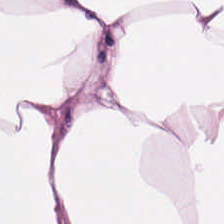224×224 pixel tile; H&E — Finding — adipose tissue.
